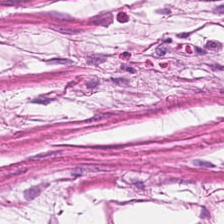H&E stain; brightfield; 224×224 pixel tile. Q: Identify the tissue.
A: It is smooth muscle.
